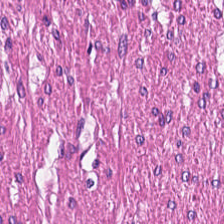Stain: H&E-stained tissue section.
Classification: muscularis.
